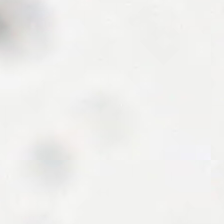Brightfield microscopy. Hematoxylin and eosin. 0.5 µm/px — Field content = background.
